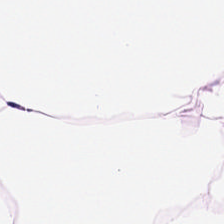FFPE tissue section · hematoxylin and eosin.
This patch shows adipose tissue.
